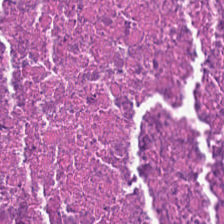Hematoxylin-and-eosin stained section — Q: What tissue is shown?
A: It is cellular debris.
